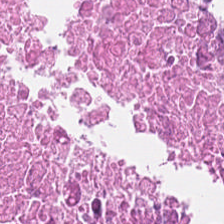Impression — debris.
